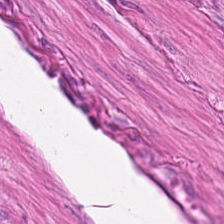Stain: hematoxylin and eosin.
Classification: muscularis.
